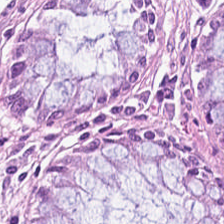Hematoxylin and eosin.
Showing benign colonic mucosa.
